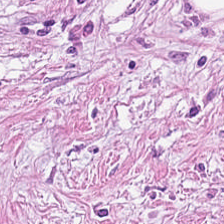Stain: hematoxylin-and-eosin stained section.
Tissue: desmoplastic stroma.
